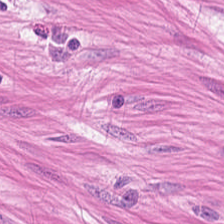H&E stain · 224×224 px patch — Predominant tissue = muscularis.
